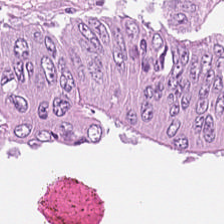Q: What is shown in this field?
A: This is malignant epithelium.
